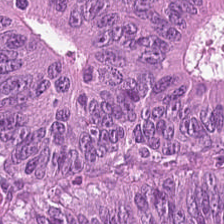Stain: H&E.
Tile size: 224×224 pixel tile.
Preparation: FFPE tissue section.
Predominant tissue: colorectal adenocarcinoma epithelium.
